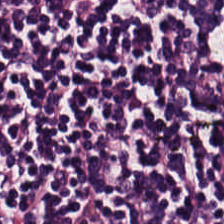224×224 pixel tile; H&E stain; formalin-fixed paraffin-embedded section.
Tissue class — lymphocytic infiltrate.
